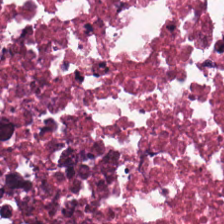Histology — cellular debris.
